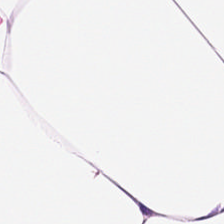Classification — adipose.
